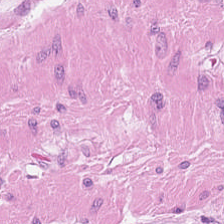H&E-stained tissue section. Tissue — muscularis.
